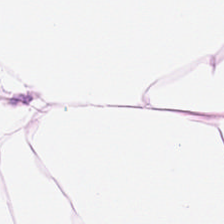Hematoxylin and eosin · formalin-fixed paraffin-embedded section. Predominantly fat tissue.
